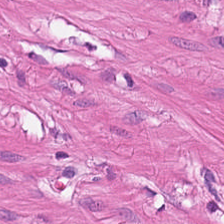H&E-stained tissue section. The predominant tissue is smooth-muscle tissue.
